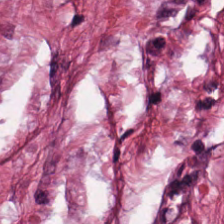0.5 µm per pixel · H&E-stained tissue section — The tissue here is tumor stroma.
